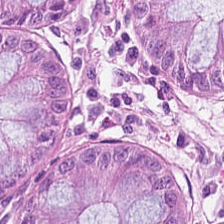FFPE tissue section; WSI patch; H&E. Q: What tissue type is shown here?
A: The field shows benign colonic mucosa.
